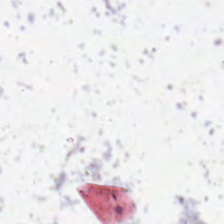Classification: no tissue.
